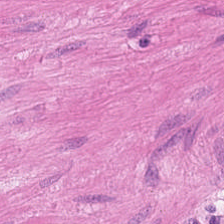The predominant tissue is smooth muscle.
